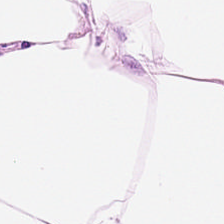Hematoxylin-and-eosin stained section · WSI patch. Tissue = fat tissue.
